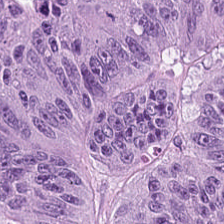H&E. Formalin-fixed paraffin-embedded section. {"tissue_type": "adenocarcinoma"}
